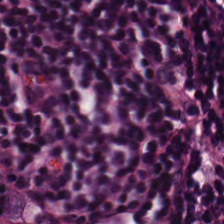Histology → lymphocytes.
